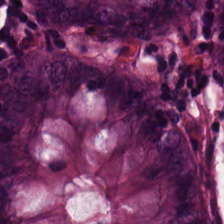Hematoxylin-and-eosin stained section. The tissue here is non-neoplastic colon mucosa.
